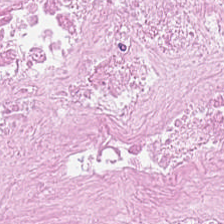Hematoxylin-and-eosin stained section. Q: What tissue is shown?
A: Cellular debris.
